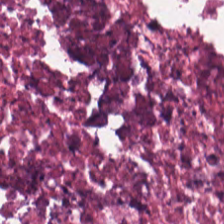H&E. {"tissue_type": "cellular debris"}
